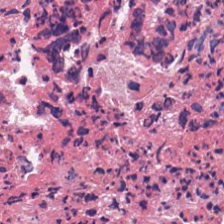Stain: H&E.
Preparation: FFPE.
Acquisition: brightfield microscopy.
Classification: necrotic debris.
